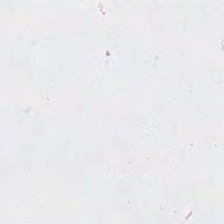Impression → background.
